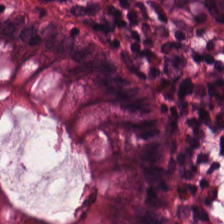0.5 µm/px · H&E-stained tissue section. Finding — normal colon mucosa.
